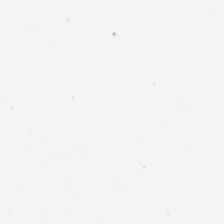Impression — no tissue.
